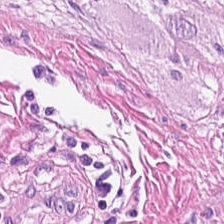Stain: H&E.
Acquisition: WSI patch.
Tissue class: smooth muscle.
